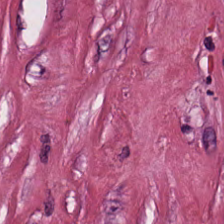H&E stain. Q: What is the predominant tissue type?
A: This is cancer-associated stroma.
